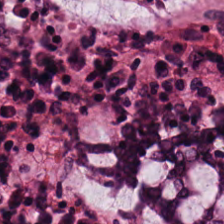H&E.
Normal colonic mucosa.
